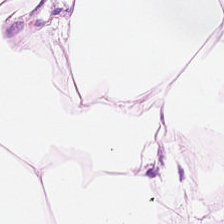Hematoxylin and eosin — Q: Classify this patch.
A: The field shows adipose tissue.
